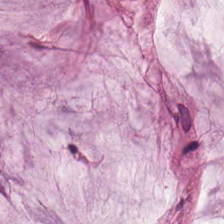This field is mucus.
